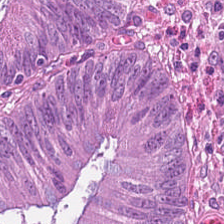H&E stain.
The tissue is tumor epithelium.
